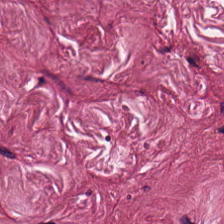FFPE tissue section; H&E-stained tissue section.
Impression → tumor-associated stroma.
